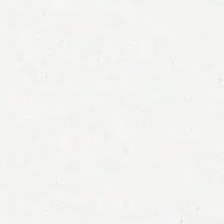Stain: H&E-stained tissue section.
Acquisition: brightfield microscopy.
Resolution: 0.5 microns per pixel.
Content: empty background.
